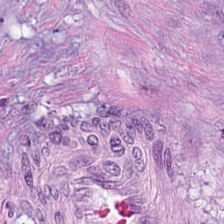H&E stain. Predominantly cancer-associated stroma.
